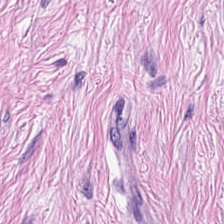Formalin-fixed paraffin-embedded section. Hematoxylin-and-eosin stained section. Q: What does this patch show?
A: Tumor stroma.
